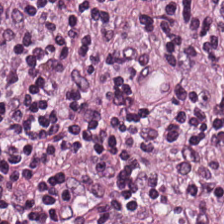Hematoxylin and eosin. FFPE tissue section. Showing lymphocytic infiltrate.
